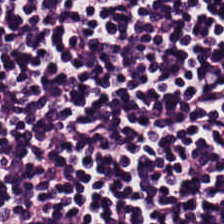Predominant tissue: lymphocytes.
